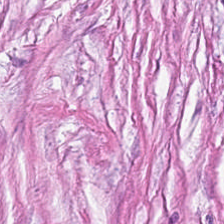Stain: H&E stain.
Tissue class: desmoplastic stroma.
